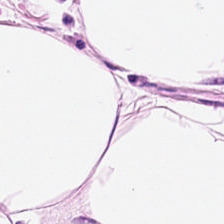Hematoxylin-and-eosin stained section · brightfield microscopy. Predominant tissue — fat tissue.
